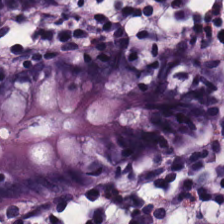H&E-stained tissue section.
Finding — benign colonic mucosa.
